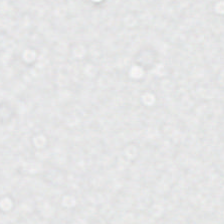Background — no tissue in this field.
